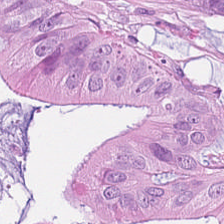H&E-stained tissue section.
Impression → adenocarcinoma.
